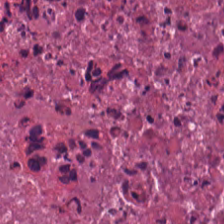H&E-stained tissue section; 0.5 microns per pixel — Showing cellular debris.
